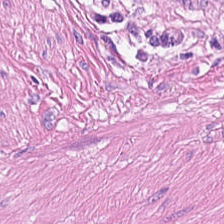Hematoxylin and eosin · 0.5 microns per pixel. Q: Classify this patch.
A: It is smooth-muscle tissue.
